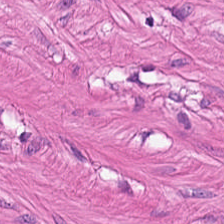WSI patch; hematoxylin-and-eosin stained section — The tissue is smooth muscle.
